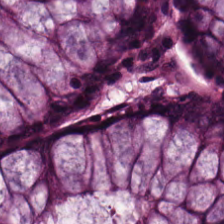Classification — non-neoplastic colon mucosa.
